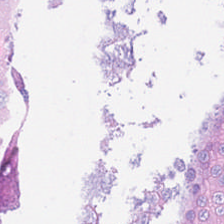H&E stain. Histology → tumor epithelium.
